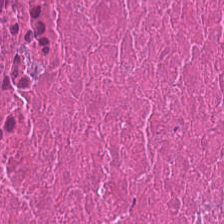0.5 microns per pixel · hematoxylin-and-eosin stained section.
The tissue here is necrotic debris.
